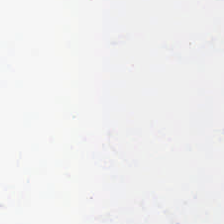Stain: H&E-stained tissue section.
Content: no tissue.
